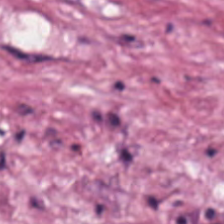Classification — cancer-associated stroma.
